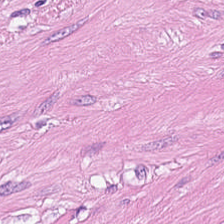Showing smooth-muscle tissue.
